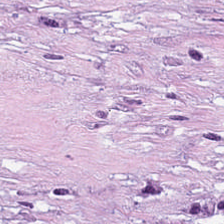Tissue class = cancer-associated stroma.
